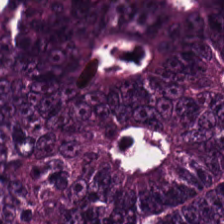Hematoxylin and eosin. Histology — colorectal adenocarcinoma.
